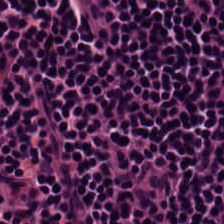Hematoxylin-and-eosin stained section.
The tissue class is lymphocytic infiltrate.
